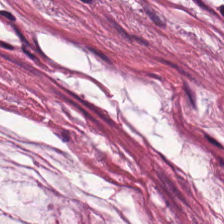224×224 px tile. Hematoxylin and eosin — Mucus.
